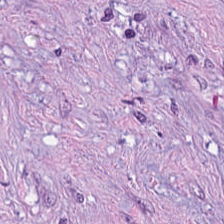This patch shows desmoplastic stroma.
